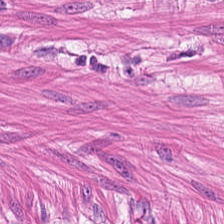Whole-slide-image patch; 224×224 pixel tile; hematoxylin and eosin — Finding → smooth-muscle tissue.
